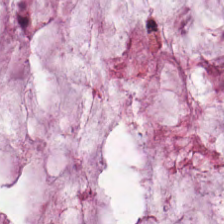Hematoxylin-and-eosin stained section — Extracellular mucin.
